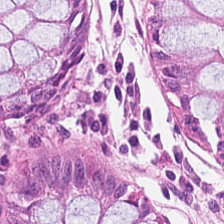Histology — normal colonic mucosa.
